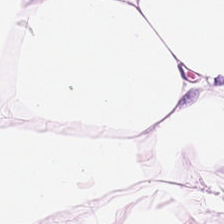224×224 px patch · H&E-stained tissue section.
This field is adipocytes.
